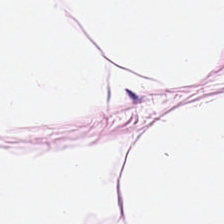Stain: H&E stain.
Resolution: 0.5 µm per pixel.
Acquisition: brightfield microscopy.
Tissue class: fat tissue.
